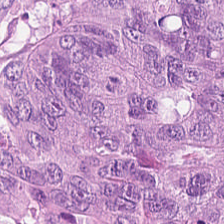Stain: H&E-stained tissue section.
Resolution: 0.5 µm/px.
Tissue type: malignant epithelium.
